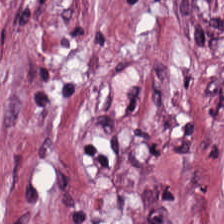Whole-slide-image patch · H&E. Q: What does this patch show?
A: It is desmoplastic stroma.
